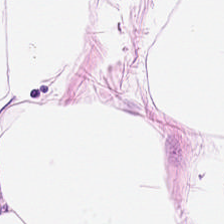Stain: H&E stain.
Predominant tissue: adipose tissue.
